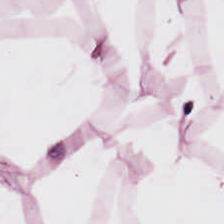This field is adipose tissue.
